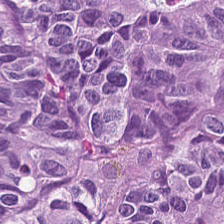H&E stain · formalin-fixed paraffin-embedded section — {"tissue_type": "malignant epithelium"}
